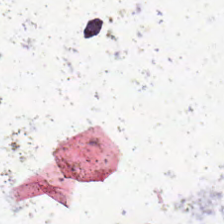Stain: H&E.
Tile size: 224×224 px tile.
Content: empty background.
